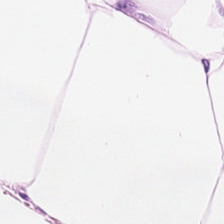Whole-slide-image patch. 0.5 µm per pixel. H&E-stained tissue section — Q: What tissue is shown?
A: Fat tissue.
